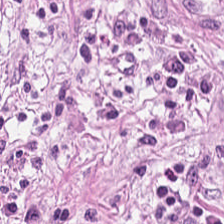Brightfield · H&E stain. Showing cancer-associated stroma.
